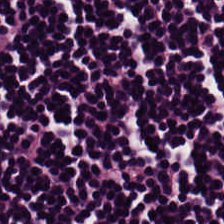H&E-stained tissue section.
Predominant tissue: lymphocyte aggregate.
